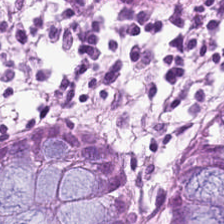Stain: hematoxylin-and-eosin stained section.
Tissue type: normal colonic mucosa.
